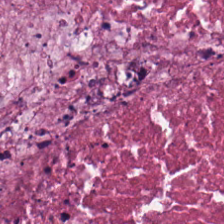Hematoxylin-and-eosin stained section. Brightfield — The predominant tissue is cellular debris.
